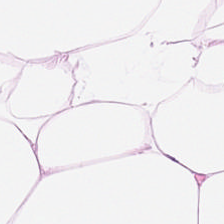Hematoxylin-and-eosin stained section · 224×224 px patch · 0.5 microns per pixel. The tissue here is adipocytes.
